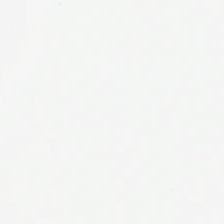H&E-stained tissue section. This patch shows empty background.
